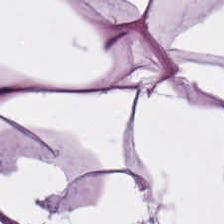H&E-stained tissue section — The tissue class is adipose tissue.
